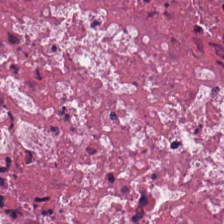Showing necrotic debris.
